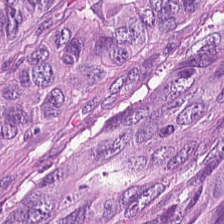The tissue here is malignant epithelium.
